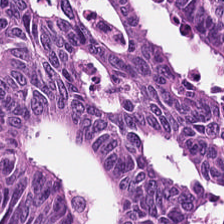Q: What does this patch show?
A: It is colorectal adenocarcinoma.
